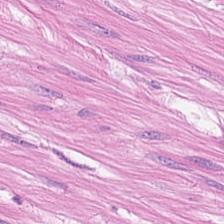Stain: H&E-stained tissue section.
Predominant tissue: muscularis.
